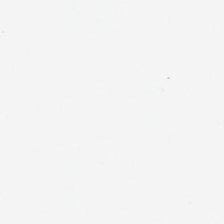Q: Classify this patch.
A: The field shows no tissue.
